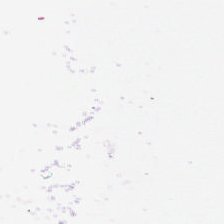Hematoxylin-and-eosin stained section.
Q: What is shown here?
A: The field shows no tissue.
